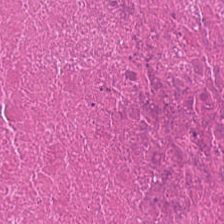FFPE tissue section. H&E-stained tissue section — Q: What tissue type is shown here?
A: Necrotic debris.
